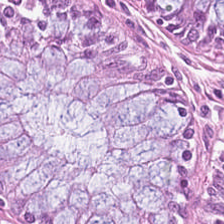H&E-stained section; the field shows non-neoplastic colon mucosa.
